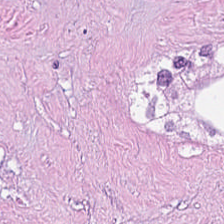H&E stain — Predominantly necrotic debris.
